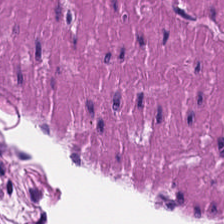Stain: H&E.
Acquisition: WSI patch.
Resolution: 0.5 µm/px.
Classification: smooth muscle.
